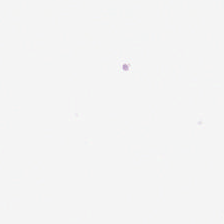Formalin-fixed paraffin-embedded section. H&E — Background.
